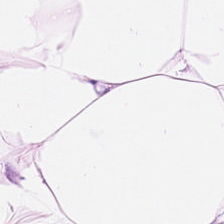H&E; 224×224 px patch. Predominantly adipocytes.
